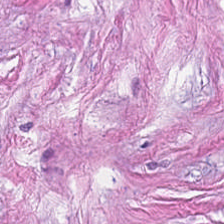Hematoxylin and eosin — This patch shows tumor stroma.
